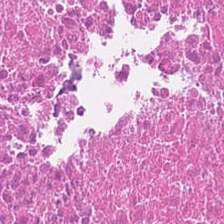This patch shows debris.
